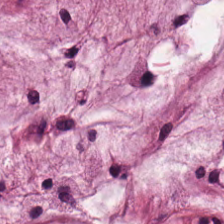Hematoxylin-and-eosin stained section. Impression — extracellular mucin.
